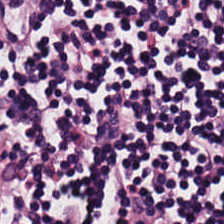H&E — Impression — lymphocyte aggregate.
